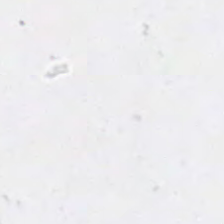FFPE · hematoxylin and eosin · WSI patch.
The content is background (no tissue).
